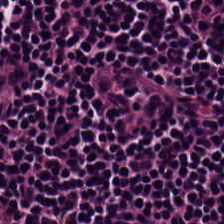H&E; whole-slide-image patch; 0.5 microns per pixel. Histology → lymphocyte aggregate.
